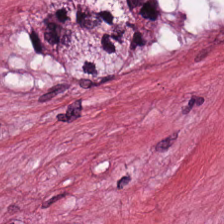0.5 microns per pixel · hematoxylin-and-eosin stained section. Tissue class: tumor-associated stroma.
